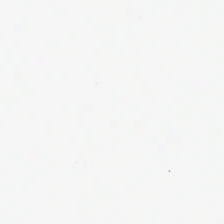H&E stain; FFPE. No tissue present; background only.
